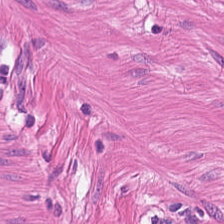H&E. 0.5 µm per pixel. FFPE. The classification is smooth muscle.
